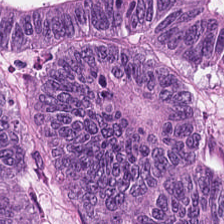Hematoxylin-and-eosin stained section; 224×224 pixel tile.
Histology → colorectal adenocarcinoma epithelium.
